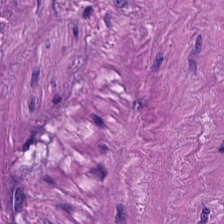Stain: hematoxylin and eosin.
Predominant tissue: smooth muscle.
